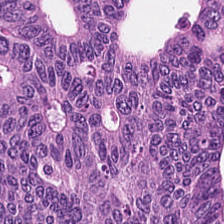0.5 µm per pixel · H&E — Predominant tissue = malignant epithelium.
